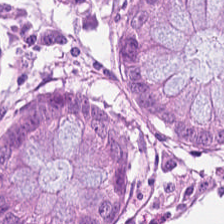Finding — normal colonic mucosa.
